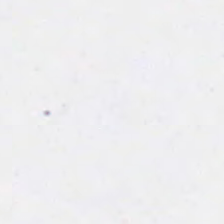Stain: hematoxylin and eosin.
Classification: background (no tissue).
